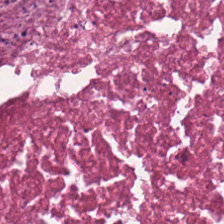Q: What is the predominant tissue type?
A: The field shows necrotic debris.
